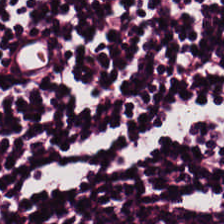Hematoxylin and eosin — This patch shows lymphoid infiltrate.
